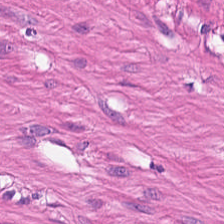Q: What is the predominant tissue type?
A: Smooth muscle.
